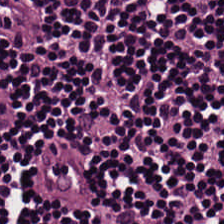H&E stain — The predominant tissue is lymphocyte aggregate.
